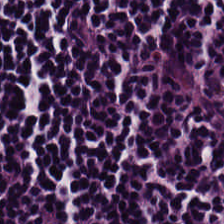Tissue: lymphoid infiltrate.
